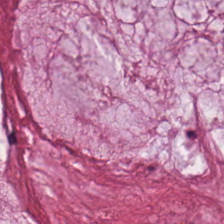Tissue type — mucus.
